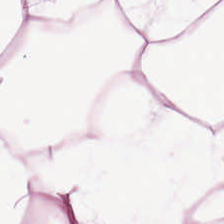{"tissue_type": "adipose"}
